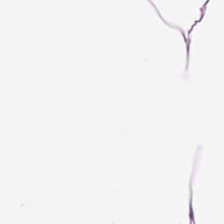This field is fat tissue.
